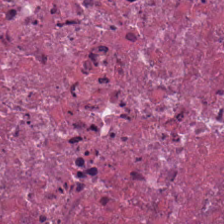Stain: H&E stain.
Preparation: FFPE tissue section.
Classification: cellular debris.
